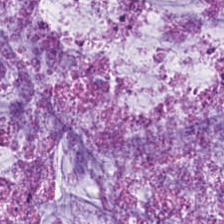0.5 µm/px · hematoxylin and eosin. Showing mucus.
